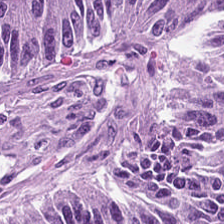Brightfield microscopy · H&E stain. Colorectal adenocarcinoma epithelium.
